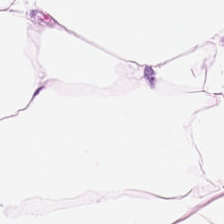Stain: H&E-stained tissue section.
Tile size: 224×224 px patch.
Classification: adipocytes.
